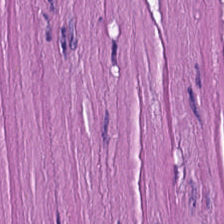Hematoxylin and eosin — Smooth muscle.
